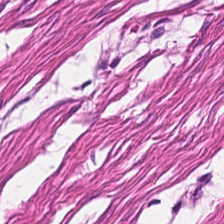H&E-stained tissue section — Predominantly smooth-muscle tissue.
